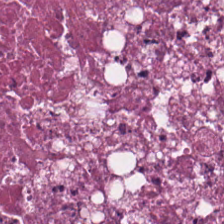Hematoxylin-and-eosin stained section. 224×224 px patch — Finding → cellular debris.
